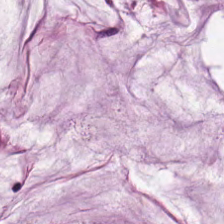Brightfield microscopy; H&E-stained tissue section; formalin-fixed paraffin-embedded section.
This field is mucus.
